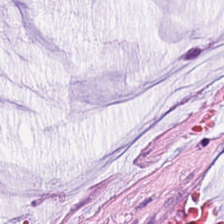WSI patch; 20× equivalent magnification; hematoxylin-and-eosin stained section.
This patch shows extracellular mucin.
